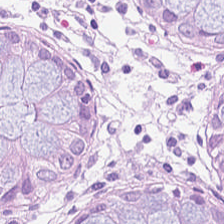Hematoxylin and eosin.
Finding → benign colonic mucosa.
